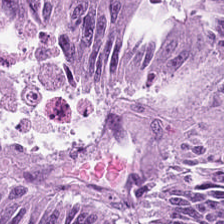H&E.
The tissue here is tumor epithelium.
